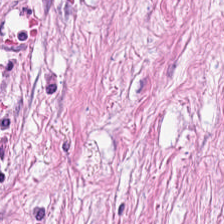H&E-stained tissue section. 224×224 px patch — Classification = tumor-associated stroma.
